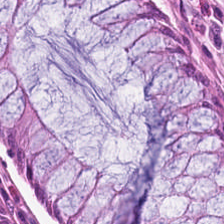Predominant tissue — normal colon mucosa.
